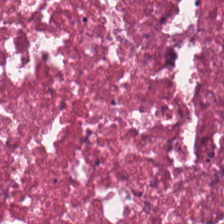224×224 px patch; formalin-fixed paraffin-embedded section; H&E.
Q: What does this patch show?
A: It is cellular debris.
